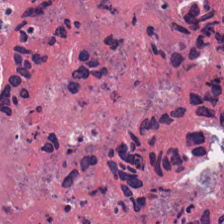This field is cellular debris.
